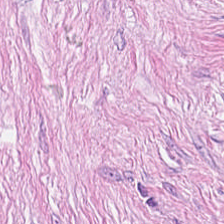Stain: H&E.
Tissue type: cancer-associated stroma.
